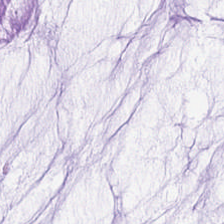Hematoxylin and eosin · 224×224 px tile. Predominant tissue = mucin.
